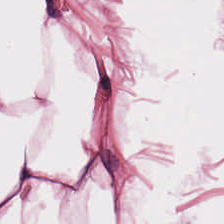Hematoxylin-and-eosin stained section. 0.5 microns per pixel — The predominant tissue is adipocytes.
